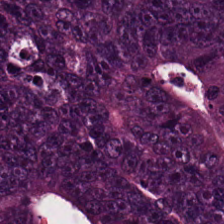Impression → colorectal adenocarcinoma epithelium.
